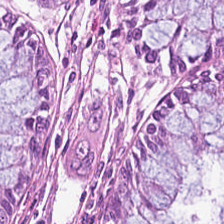0.5 microns per pixel · H&E · brightfield microscopy. Histology — normal colon mucosa.
